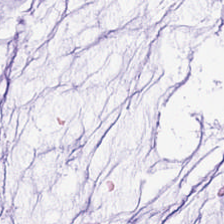FFPE tissue section; hematoxylin and eosin — Showing extracellular mucin.
